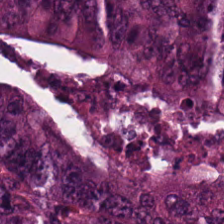H&E. Classification — colorectal adenocarcinoma.
